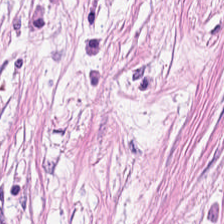Cancer-associated stroma.
